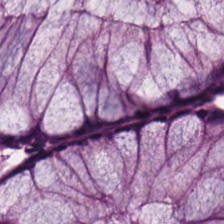{"tissue_type": "non-neoplastic colon mucosa"}
